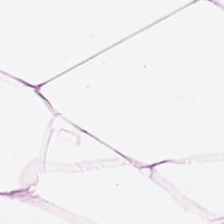Hematoxylin-and-eosin stained section — This patch shows adipose tissue.
